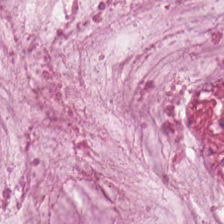Brightfield microscopy; hematoxylin and eosin; 224×224 pixel tile — Showing extracellular mucin.
